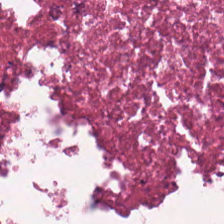Hematoxylin-and-eosin stained section. 224×224 px patch — Classification = cellular debris.
